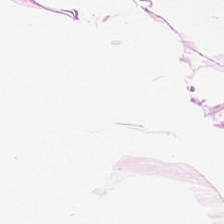H&E-stained tissue section. 224×224 px tile.
Classification — fat tissue.
